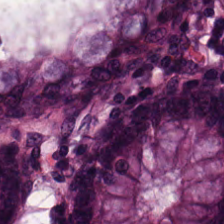Hematoxylin-and-eosin stained section. Formalin-fixed paraffin-embedded section. The tissue here is non-neoplastic colon mucosa.
